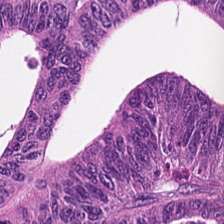The predominant tissue is malignant epithelium.
